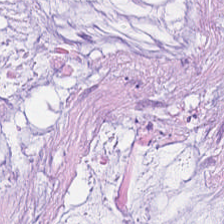20× equivalent magnification; H&E stain.
Q: What is shown in this field?
A: Mucin.
